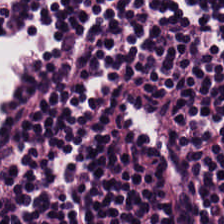H&E. This field is lymphoid infiltrate.
